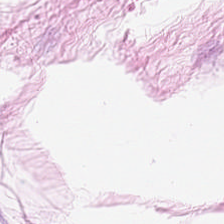Hematoxylin and eosin. Whole-slide-image patch. This field is adipose tissue.
